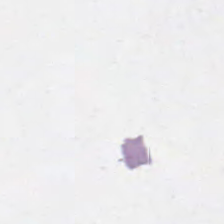FFPE. Brightfield. Hematoxylin-and-eosin stained section.
{"content": "background"}
